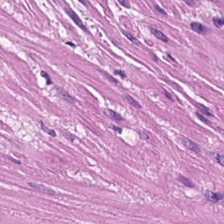Hematoxylin and eosin.
The predominant tissue is muscularis.
